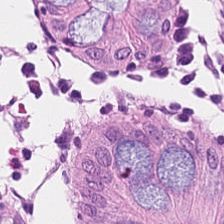H&E.
Q: Classify this patch.
A: Normal colon mucosa.
